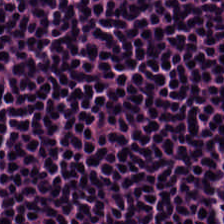H&E stain — Lymphocytes.
